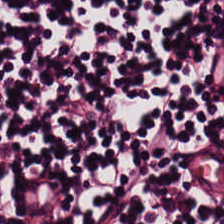Hematoxylin-and-eosin stained section.
The predominant tissue is lymphoid infiltrate.
